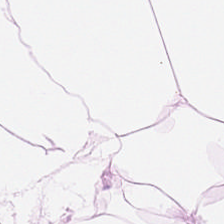Tissue — adipose tissue.
